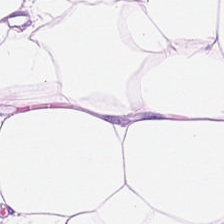H&E-stained tissue section. Tissue class = adipocytes.
